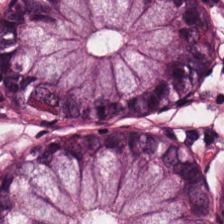Whole-slide-image patch. H&E-stained tissue section.
The tissue here is non-neoplastic colon mucosa.
